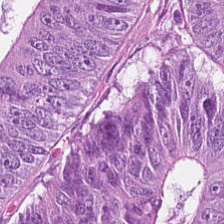Tumor epithelium.
